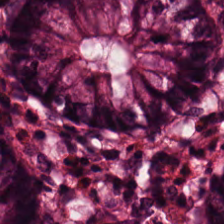Tissue = benign colonic mucosa.
